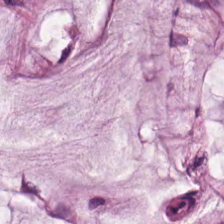Stain: H&E-stained tissue section.
Tissue type: mucus.
